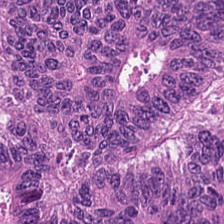Formalin-fixed paraffin-embedded section · H&E. Tissue: colorectal adenocarcinoma.
